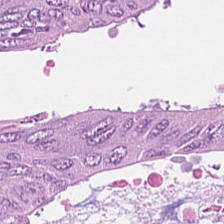Hematoxylin and eosin. Tissue class = colorectal adenocarcinoma.
